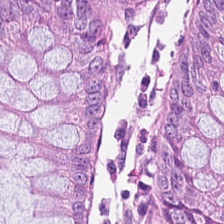Hematoxylin and eosin — Q: What tissue type is shown here?
A: It is normal colon mucosa.
